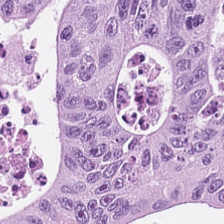Hematoxylin and eosin — Classification = colorectal adenocarcinoma.
